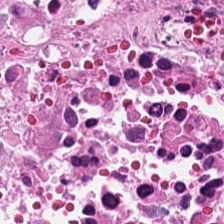0.5 µm/px. Hematoxylin-and-eosin stained section. Formalin-fixed paraffin-embedded section. Predominantly necrotic debris.
